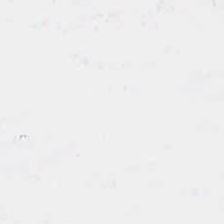Hematoxylin and eosin. Background — no tissue in this field.
